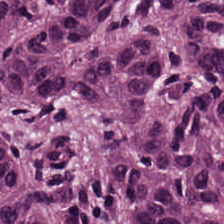Classification: adenocarcinoma.
